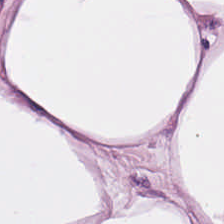Hematoxylin and eosin.
Showing adipose tissue.
